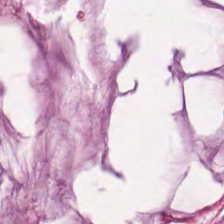Impression — mucus.
